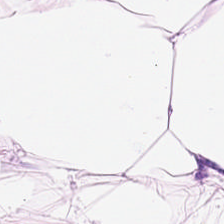0.5 microns per pixel · H&E. Tissue: adipocytes.
